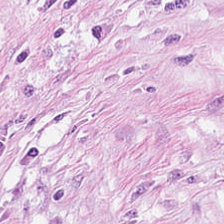Hematoxylin and eosin — The tissue type is cancer-associated stroma.
